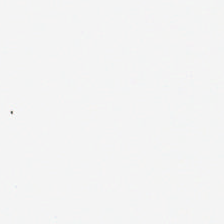This patch shows no tissue.
